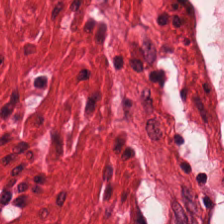H&E-stained tissue section — This patch shows smooth-muscle tissue.
